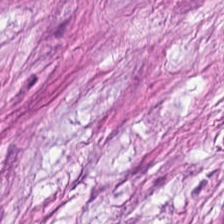H&E — Finding — cancer-associated stroma.
